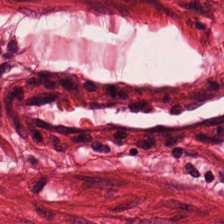H&E-stained tissue section.
Q: What is shown in this field?
A: This is smooth muscle.
